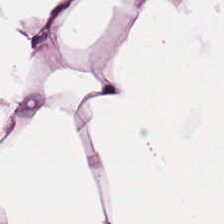Adipose.
